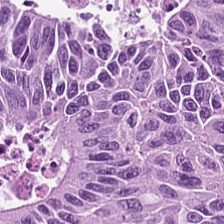H&E. This field is tumor epithelium.
